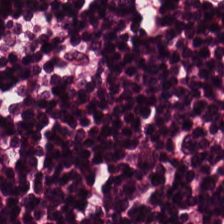Q: What type of tissue is this?
A: The field shows lymphocytic infiltrate.
